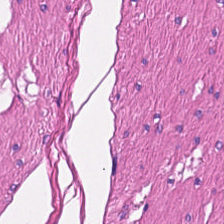Hematoxylin and eosin · brightfield microscopy · 0.5 microns per pixel. Q: What does this patch show?
A: It is smooth muscle.
